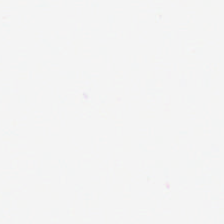H&E stain. No tissue present; background only.
